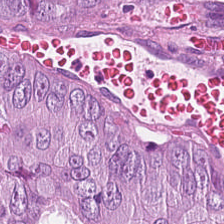Formalin-fixed paraffin-embedded section. H&E stain — The classification is tumor epithelium.
